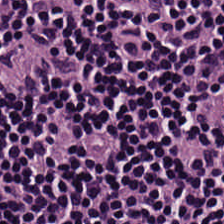H&E-stained tissue section.
{"tissue_type": "lymphocytic infiltrate"}
